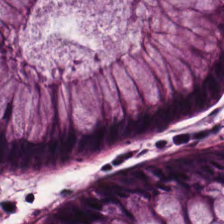Hematoxylin and eosin — {"tissue_type": "benign colonic mucosa"}
